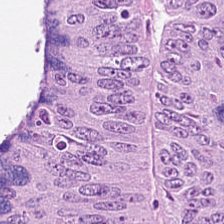Hematoxylin-and-eosin stained section. 0.5 microns per pixel. Whole-slide-image patch. The tissue is malignant epithelium.
